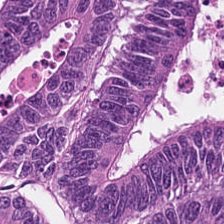H&E; 20× equivalent magnification. The classification is malignant epithelium.
